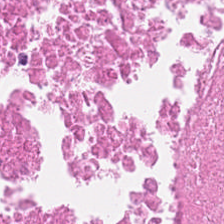Stain: H&E stain.
Tile size: 224×224 px patch.
Predominant tissue: debris.
